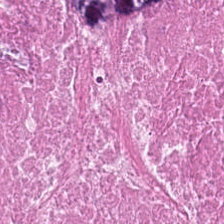Hematoxylin-and-eosin stained section. 224×224 pixel tile. Whole-slide-image patch — {"tissue_type": "cellular debris"}
